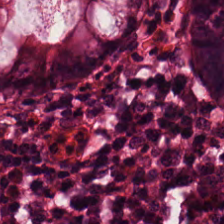H&E-stained tissue section · FFPE · 224×224 px patch — The predominant tissue is benign colonic mucosa.
